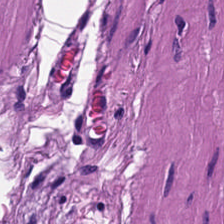H&E-stained tissue section — Finding — smooth-muscle tissue.
